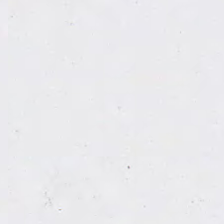Q: What does this patch show?
A: Background (no tissue).
